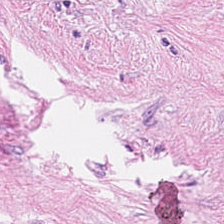224×224 pixel tile; H&E stain — Finding → tumor stroma.
